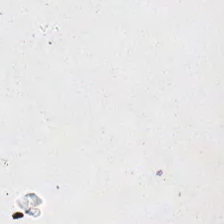Hematoxylin and eosin · 224×224 px tile.
Classification: no tissue.
